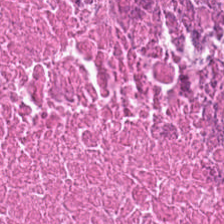Histology — cellular debris.
